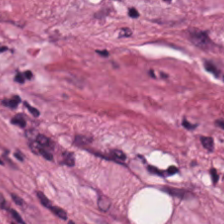H&E stain.
Cancer-associated stroma.
